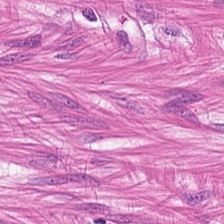Whole-slide-image patch · H&E stain — The tissue here is muscularis.
